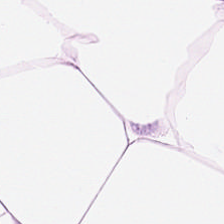Formalin-fixed paraffin-embedded section · 224×224 px tile · H&E stain. Classification — fat tissue.
